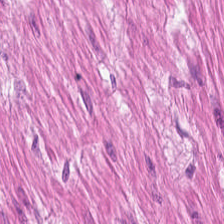Formalin-fixed paraffin-embedded section. H&E. Showing smooth-muscle tissue.
